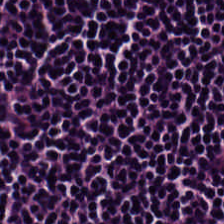Stain: hematoxylin-and-eosin stained section.
Tissue: lymphoid infiltrate.
